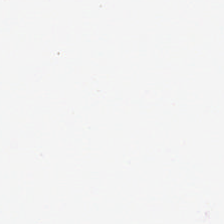Stain: H&E.
Content: background (no tissue).
